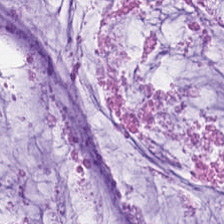Hematoxylin and eosin; brightfield microscopy.
{"tissue_type": "mucus"}
